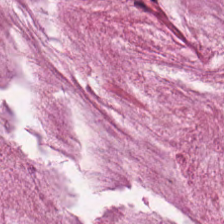FFPE tissue section. 224×224 pixel tile. H&E.
The tissue here is mucus.
